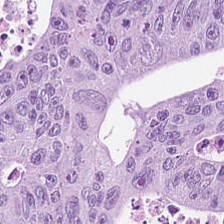Hematoxylin and eosin — The predominant tissue is malignant epithelium.
